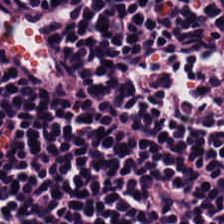H&E-stained tissue section showing lymphocytes.
